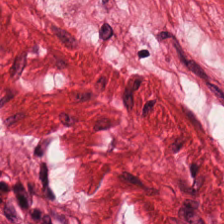H&E; brightfield — Q: What tissue is shown?
A: The field shows smooth muscle.
